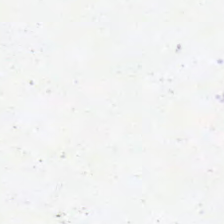Stain: H&E-stained tissue section.
Classification: background.
